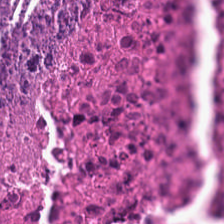This field is debris.
